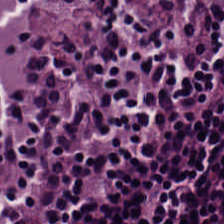Tissue: lymphocyte aggregate.
